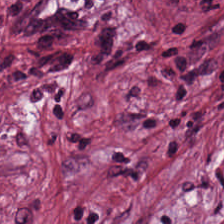224×224 px patch; H&E.
{"tissue_type": "desmoplastic stroma"}
